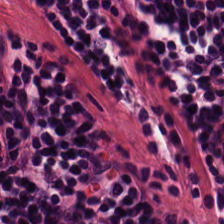Q: What tissue is shown?
A: Lymphocytic infiltrate.
